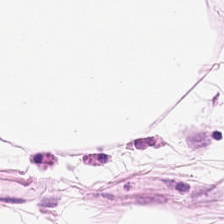FFPE tissue section · hematoxylin-and-eosin stained section — Q: Classify this patch.
A: This is fat tissue.
